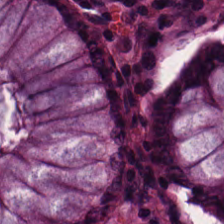Impression — normal colonic mucosa.
